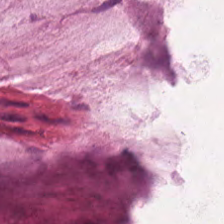Stain: H&E-stained tissue section.
Predominant tissue: mucus.
